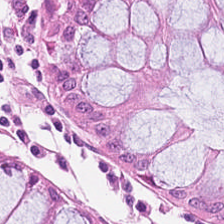Finding → non-neoplastic colon mucosa.
